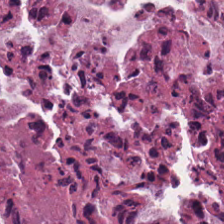This patch shows debris.
